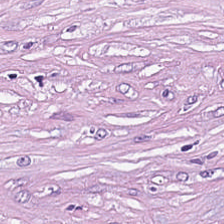224×224 pixel tile; hematoxylin and eosin — The predominant tissue is desmoplastic stroma.
